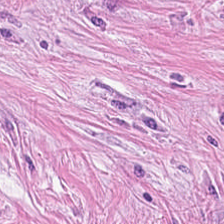Stain: hematoxylin-and-eosin stained section.
Tissue class: tumor-associated stroma.
